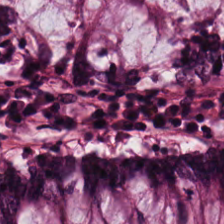The classification is non-neoplastic colon mucosa.
